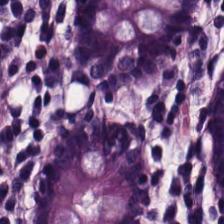Hematoxylin-and-eosin stained section; 0.5 microns per pixel — Normal colonic mucosa.
